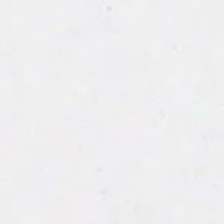Hematoxylin and eosin — Content: background (no tissue).
